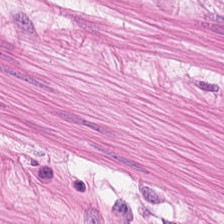H&E-stained tissue section. The tissue here is smooth muscle.
